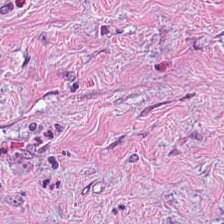{"tissue_type": "desmoplastic stroma"}
